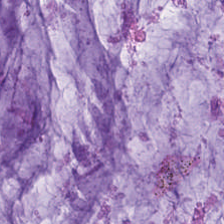H&E stain.
This patch shows extracellular mucin.
